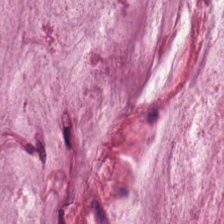Hematoxylin-and-eosin stained section — Predominantly mucin.
